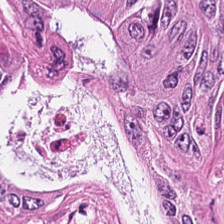H&E. Tissue type: adenocarcinoma.
